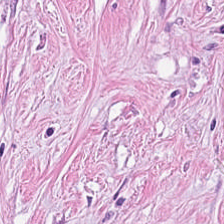Q: What is the predominant tissue type?
A: This is desmoplastic stroma.
